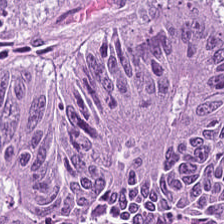H&E stain · FFPE tissue section. The tissue here is malignant epithelium.
